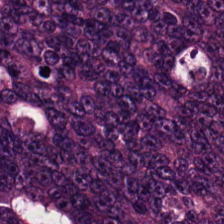H&E stain.
Q: Identify the tissue.
A: It is malignant epithelium.
